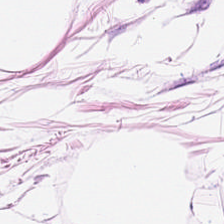224×224 pixel tile · hematoxylin and eosin · whole-slide-image patch — Tissue — adipose.
